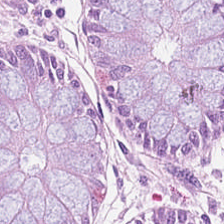0.5 µm/px. H&E-stained tissue section. The predominant tissue is normal colon mucosa.
